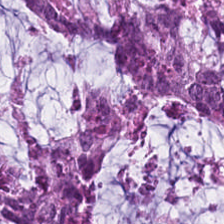H&E patch showing mucin.
